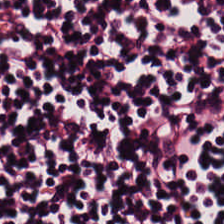H&E stain. FFPE. This field is lymphocytes.
